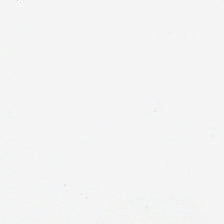Brightfield microscopy · FFPE · H&E — Finding → no tissue.
